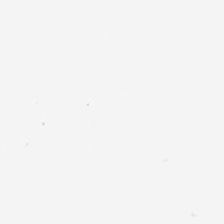Hematoxylin and eosin. Finding → background (no tissue).
